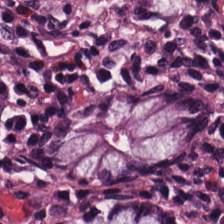The tissue here is non-neoplastic colon mucosa.
